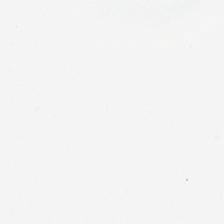224×224 pixel tile · 0.5 µm/px · H&E stain. No tissue.
